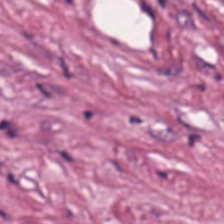Classification = tumor-associated stroma.
